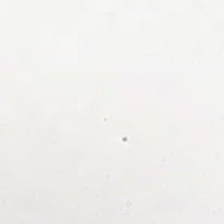H&E — Background — no tissue in this field.
